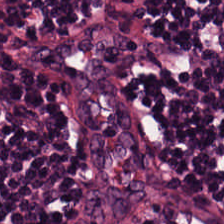Q: What is shown in this field?
A: Lymphoid infiltrate.
